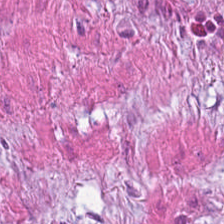Hematoxylin-and-eosin stained section. Predominant tissue: smooth-muscle tissue.
